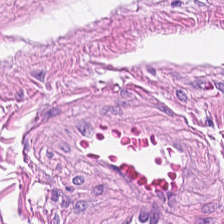H&E-stained tissue section.
Q: What type of tissue is this?
A: Smooth muscle.
